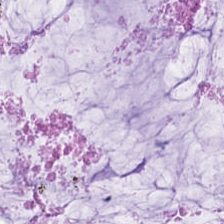H&E-stained tissue section. 0.5 microns per pixel. WSI patch.
Finding → mucus.
